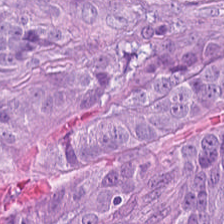H&E · 224×224 pixel tile · 0.5 µm per pixel — The tissue here is tumor epithelium.
